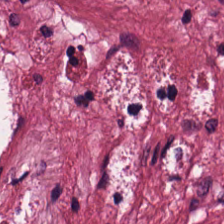H&E-stained tissue section. Brightfield. FFPE tissue section.
The tissue type is tumor stroma.
